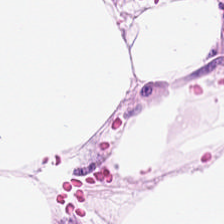H&E stain. Classification — fat tissue.
